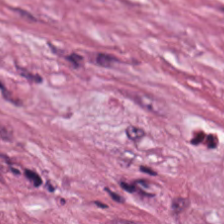Stain: H&E-stained tissue section.
Predominant tissue: tumor-associated stroma.
